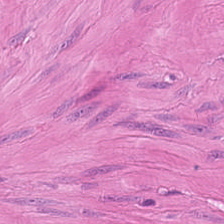H&E-stained tissue section.
The tissue is muscularis.
